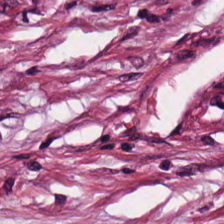Hematoxylin and eosin · 224×224 px tile — Predominantly tumor-associated stroma.
